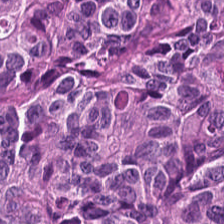H&E stain. Q: What does this patch show?
A: Adenocarcinoma.
